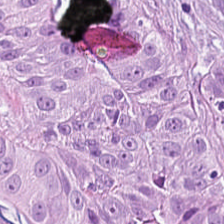H&E stain. Predominantly tumor epithelium.
